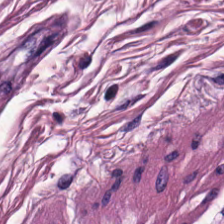Q: What is shown in this field?
A: This is smooth-muscle tissue.
